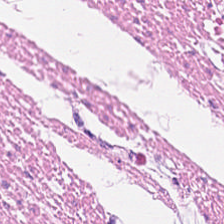Impression → smooth-muscle tissue.
